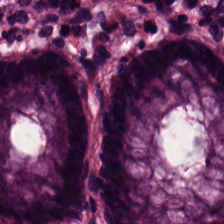Hematoxylin-and-eosin stained section; FFPE tissue section — The predominant tissue is non-neoplastic colon mucosa.
